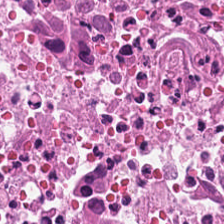H&E-stained tissue section showing debris.
